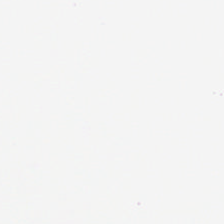Hematoxylin and eosin.
Histology → empty background.
